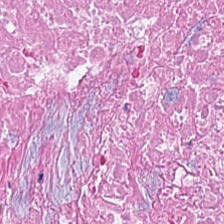FFPE tissue section · H&E stain.
Q: Identify the tissue.
A: Cellular debris.
